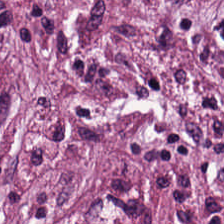Hematoxylin and eosin — Tissue type: tumor-associated stroma.
